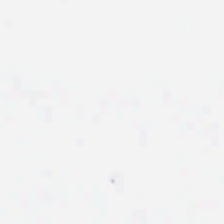Histology → empty background.
